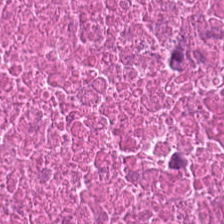H&E stain. The tissue type is necrotic debris.
